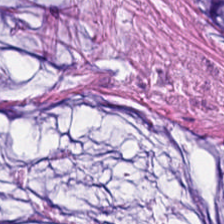H&E. Tissue: extracellular mucin.
